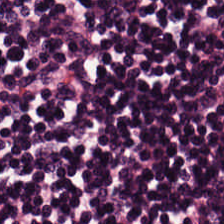Predominant tissue: lymphocytes.
